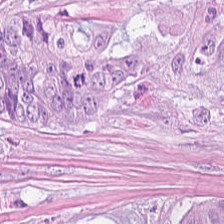Hematoxylin and eosin. FFPE tissue section — The predominant tissue is malignant epithelium.
